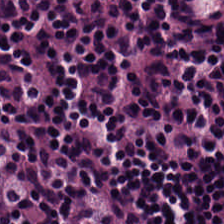H&E.
Lymphocytic infiltrate.
